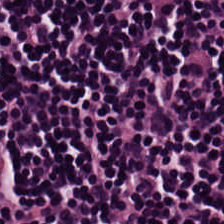H&E · 224×224 pixel tile.
Classification — lymphocyte aggregate.
